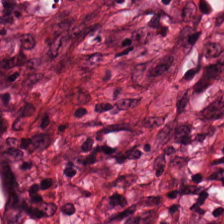Hematoxylin-and-eosin stained section; FFPE tissue section.
Tissue class: tumor-associated stroma.
